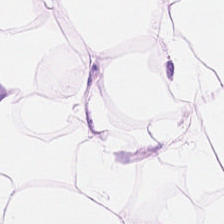Hematoxylin and eosin. The tissue is adipose.
